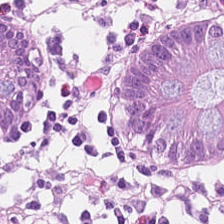Hematoxylin-and-eosin stained section — {"tissue_type": "normal colonic mucosa"}
